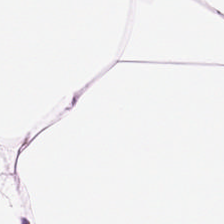H&E stain.
The classification is adipocytes.
